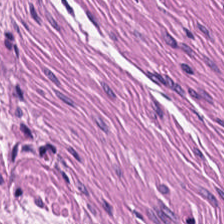Stain: H&E-stained tissue section.
Resolution: 0.5 µm per pixel.
Predominant tissue: smooth-muscle tissue.
